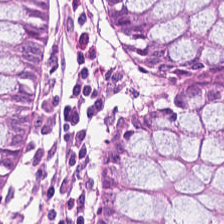Hematoxylin-and-eosin stained section — Tissue class — benign colonic mucosa.
